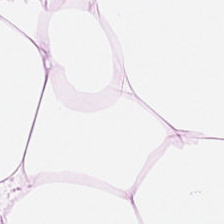Hematoxylin and eosin · 224×224 px patch.
Tissue class = adipose.
